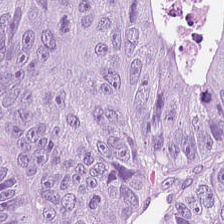The classification is adenocarcinoma.
